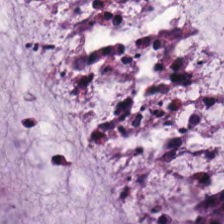H&E stain. 0.5 µm/px. Q: Classify this patch.
A: It is mucin.
